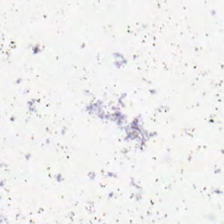H&E stain. This field is background (no tissue).
